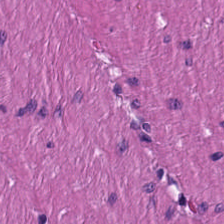H&E-stained tissue section — Q: What tissue type is shown here?
A: It is muscularis.
